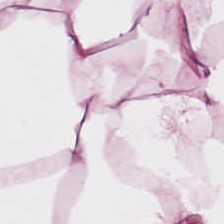Stain: H&E-stained tissue section.
Predominant tissue: adipose tissue.
